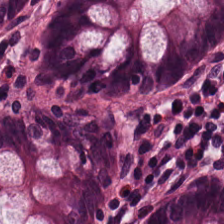20× equivalent magnification. Hematoxylin and eosin.
Q: What tissue type is shown here?
A: Benign colonic mucosa.
